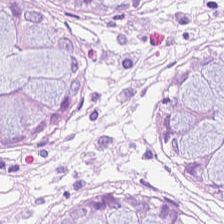Hematoxylin and eosin — The predominant tissue is normal colonic mucosa.
